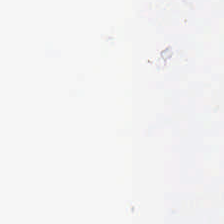Hematoxylin-and-eosin stained section · whole-slide-image patch — Field content: empty background.
